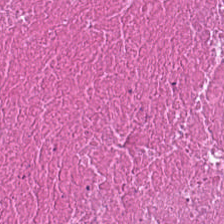H&E-stained tissue section.
Debris.
